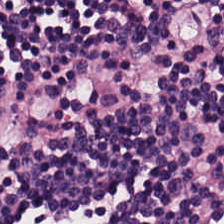Brightfield microscopy. Hematoxylin and eosin — Q: Identify the tissue.
A: This is lymphocyte aggregate.
